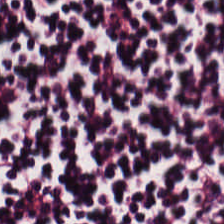The predominant tissue is lymphocytic infiltrate.
